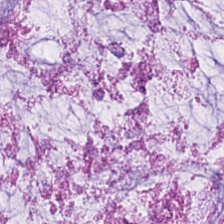Brightfield microscopy. H&E stain. Extracellular mucin.
